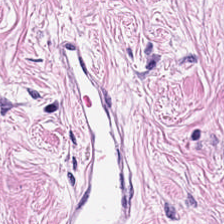Hematoxylin-and-eosin stained section; 224×224 px tile.
Q: Classify this patch.
A: This is desmoplastic stroma.
